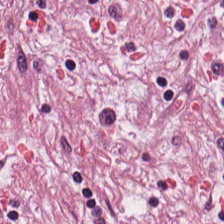Hematoxylin and eosin — The predominant tissue is desmoplastic stroma.
